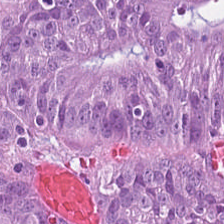Hematoxylin-and-eosin stained section. The predominant tissue is colorectal adenocarcinoma epithelium.
